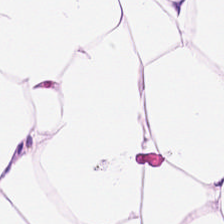H&E-stained tissue section · 0.5 microns per pixel — Predominantly adipose.
